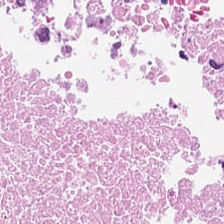H&E-stained tissue section; WSI patch — The tissue type is cellular debris.
